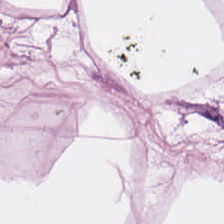224×224 px patch; H&E stain. The tissue here is adipocytes.
